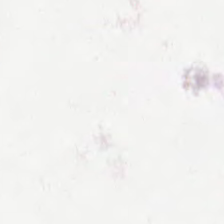Content — background.
